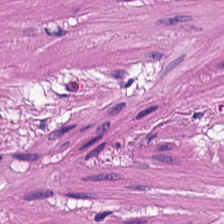Stain: H&E-stained tissue section.
Classification: smooth-muscle tissue.
